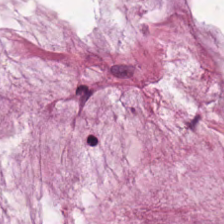H&E patch showing extracellular mucin.
